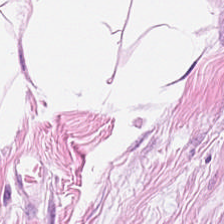Showing adipose.
